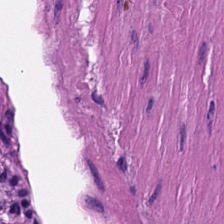Hematoxylin and eosin; WSI patch. Tissue = smooth-muscle tissue.
